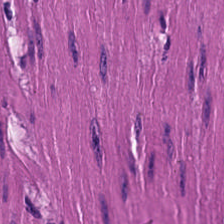H&E stain.
Impression — muscularis.
